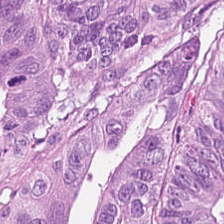H&E-stained tissue section showing malignant epithelium.
